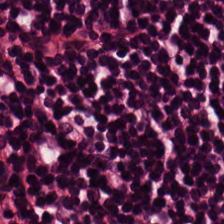H&E-stained tissue section. The predominant tissue is lymphoid infiltrate.
